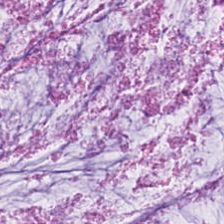{"tissue_type": "extracellular mucin"}
